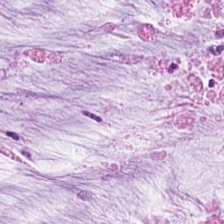Stain: H&E.
Tissue type: extracellular mucin.
